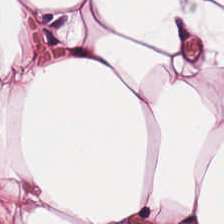H&E — Predominant tissue — adipocytes.
